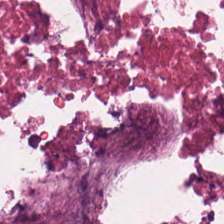H&E — Q: What is shown in this field?
A: This is debris.
